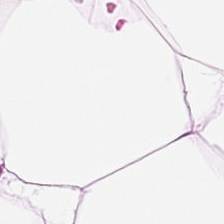WSI patch; H&E.
Q: Identify the tissue.
A: Adipocytes.
